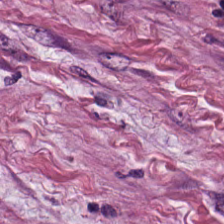224×224 pixel tile · FFPE tissue section · H&E-stained tissue section. Q: What type of tissue is this?
A: This is tumor-associated stroma.
